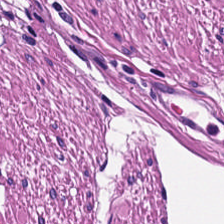FFPE tissue section. Hematoxylin-and-eosin stained section. Q: What tissue type is shown here?
A: Muscularis.
